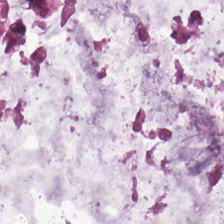Hematoxylin-and-eosin section: mucus.
